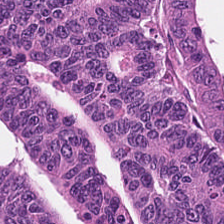H&E — colorectal adenocarcinoma.
